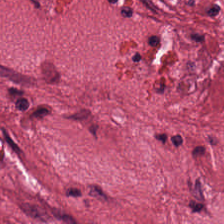Tissue — tumor-associated stroma.
